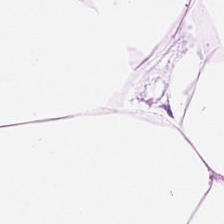Stain: hematoxylin-and-eosin stained section.
Resolution: 0.5 µm per pixel.
Preparation: formalin-fixed paraffin-embedded section.
Predominant tissue: fat tissue.
